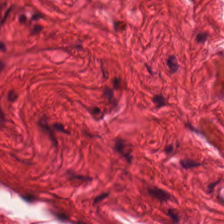0.5 microns per pixel. FFPE. Hematoxylin and eosin.
Predominantly muscularis.
